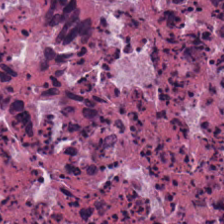H&E stain. The predominant tissue is cellular debris.
